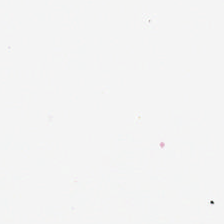Hematoxylin-and-eosin stained section — Empty field — no tissue.
